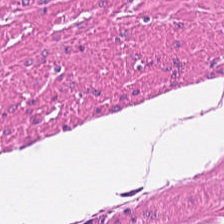Stain: H&E-stained tissue section.
Tissue type: smooth muscle.
